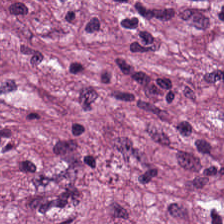Stain: H&E-stained tissue section.
Tissue class: cancer-associated stroma.
